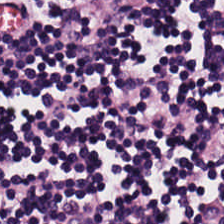H&E stain.
Q: What tissue is shown?
A: The field shows lymphocytes.
